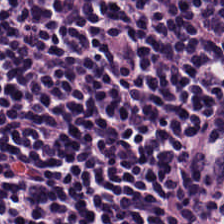20× equivalent magnification · 224×224 px tile · H&E — Tissue class = lymphocyte aggregate.
